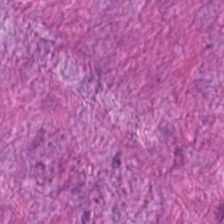FFPE tissue section. Hematoxylin-and-eosin stained section.
Desmoplastic stroma.
